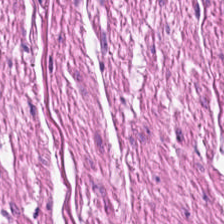Hematoxylin and eosin. WSI patch. Formalin-fixed paraffin-embedded section — Muscularis.
